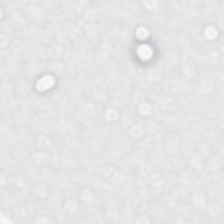Stain: hematoxylin-and-eosin stained section.
Classification: background (no tissue).
